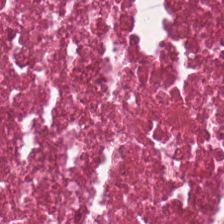Hematoxylin and eosin. {"tissue_type": "debris"}
